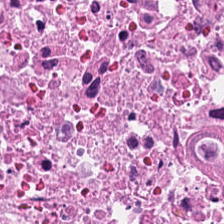H&E; 224×224 px patch — Q: What tissue is shown?
A: It is cellular debris.
